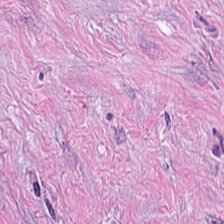Stain: hematoxylin-and-eosin stained section.
Tissue class: cancer-associated stroma.
